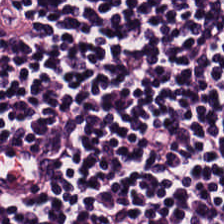Classification — lymphocytic infiltrate.
